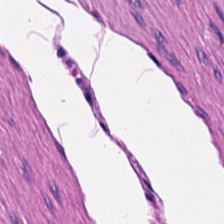H&E stain. Q: What is shown here?
A: It is muscularis.
